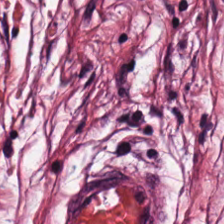Q: What is shown in this field?
A: This is tumor-associated stroma.
